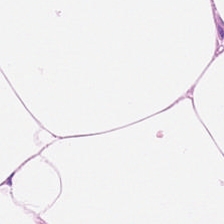Stain: hematoxylin and eosin.
Resolution: 20× equivalent magnification.
Preparation: FFPE.
Classification: adipose.
